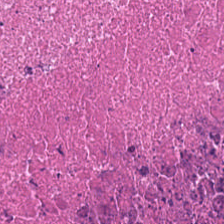Necrotic debris.
